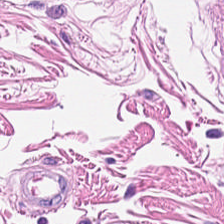H&E-stained tissue section — Showing muscularis.
